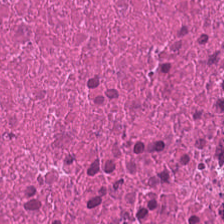H&E-stained tissue section.
This patch shows debris.
